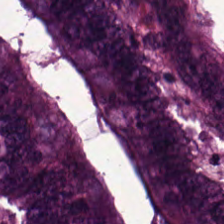Impression → malignant epithelium.
